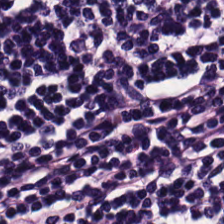Showing lymphocytic infiltrate.
